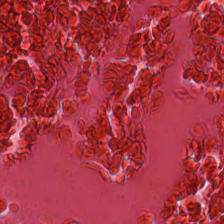Hematoxylin-and-eosin stained section — Q: What tissue type is shown here?
A: It is debris.
